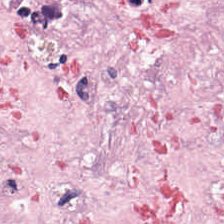H&E stain — {"tissue_type": "cancer-associated stroma"}
